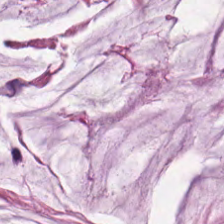Hematoxylin-and-eosin stained section. The tissue here is extracellular mucin.
